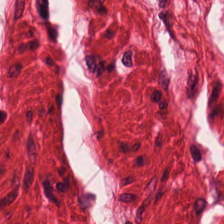H&E-stained tissue section — Impression — smooth muscle.
